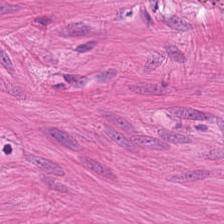H&E-stained section; the field shows smooth muscle.
